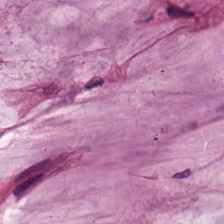H&E-stained tissue section. Tissue type = mucin.
